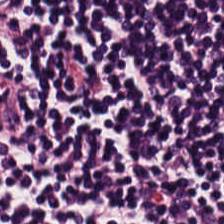H&E stain.
Q: Classify this patch.
A: The field shows lymphocytic infiltrate.
